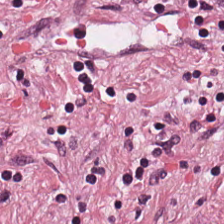0.5 µm per pixel; H&E-stained tissue section.
Finding → cancer-associated stroma.
